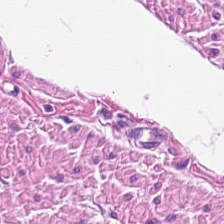H&E — Tissue class = muscularis.
